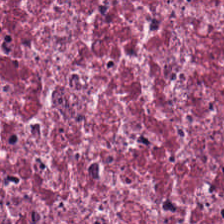0.5 µm/px. Hematoxylin-and-eosin stained section.
Tumor-associated stroma.
